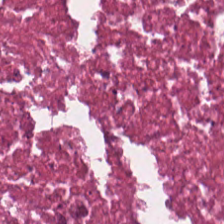Hematoxylin-and-eosin stained section. Whole-slide-image patch. Q: What type of tissue is this?
A: The field shows debris.
